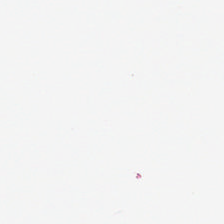Brightfield · FFPE · hematoxylin and eosin — Empty field — empty background.
